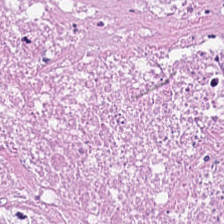Formalin-fixed paraffin-embedded section; hematoxylin and eosin.
This patch shows necrotic debris.
